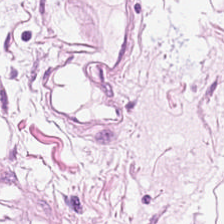0.5 microns per pixel · hematoxylin and eosin · formalin-fixed paraffin-embedded section — Q: What tissue type is shown here?
A: It is adipose tissue.
